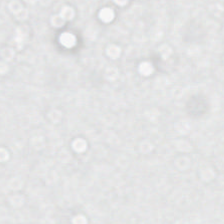0.5 microns per pixel. H&E-stained tissue section. 224×224 px patch. Classification: no tissue.
